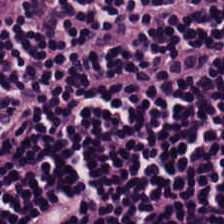Hematoxylin-and-eosin stained section. Formalin-fixed paraffin-embedded section. WSI patch. Showing lymphocyte aggregate.
